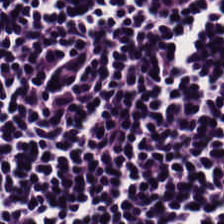H&E-stained tissue section.
The classification is lymphoid infiltrate.
